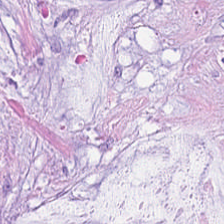20× equivalent magnification · hematoxylin-and-eosin stained section.
The tissue here is mucus.
